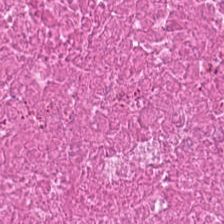Hematoxylin-and-eosin stained section · 224×224 px patch — The classification is necrotic debris.
